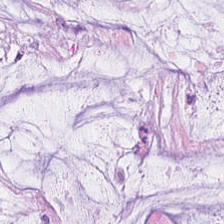H&E stain · whole-slide-image patch.
Q: What is shown in this field?
A: Mucus.
